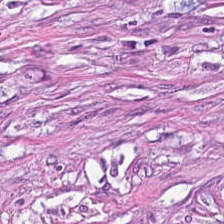The tissue here is tumor stroma.
